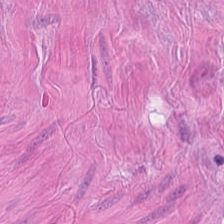Predominantly smooth-muscle tissue.
